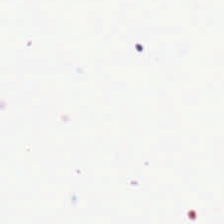Classification: background (no tissue).
